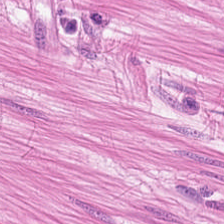0.5 µm per pixel; hematoxylin and eosin; brightfield — Classification — smooth-muscle tissue.
